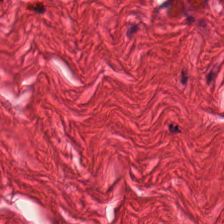Hematoxylin-and-eosin stained section · FFPE tissue section — The predominant tissue is smooth muscle.
